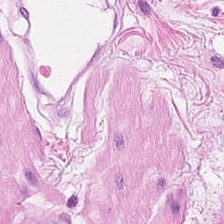The predominant tissue is muscularis.
